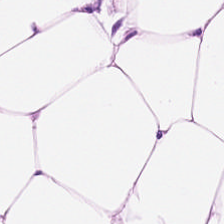Tissue type — fat tissue.
